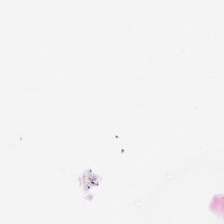Hematoxylin-and-eosin stained section. FFPE — Q: What does this patch show?
A: It is empty background.
